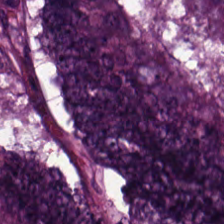20× equivalent magnification · brightfield microscopy · H&E-stained tissue section — Tissue type — tumor epithelium.
